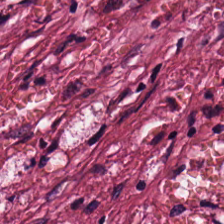H&E-stained tissue section. Showing desmoplastic stroma.
